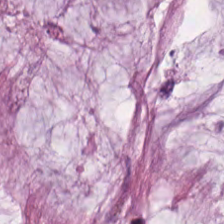Whole-slide-image patch · H&E-stained tissue section. Finding → mucin.
